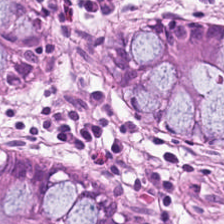Whole-slide-image patch · hematoxylin-and-eosin stained section. The classification is benign colonic mucosa.
